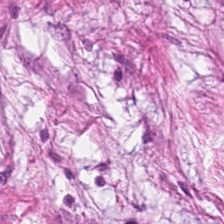0.5 µm/px. Hematoxylin and eosin. This field is desmoplastic stroma.
